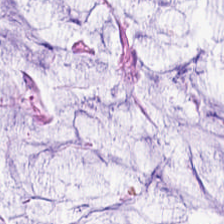224×224 px tile; hematoxylin and eosin; formalin-fixed paraffin-embedded section. The tissue is extracellular mucin.
